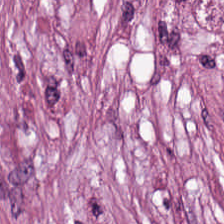Hematoxylin-and-eosin stained section; FFPE. Histology — tumor stroma.
